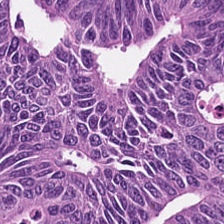Hematoxylin-and-eosin stained section; formalin-fixed paraffin-embedded section. Q: Classify this patch.
A: This is tumor epithelium.
